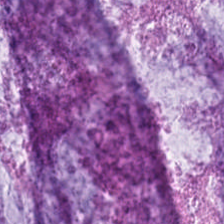Stain: H&E.
Tile size: 224×224 px tile.
Tissue type: mucus.
